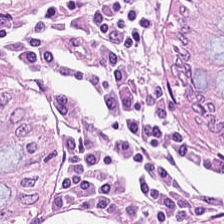H&E; WSI patch — Tissue class: non-neoplastic colon mucosa.
